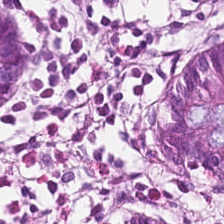Hematoxylin-and-eosin stained section — Tissue class — benign colonic mucosa.
